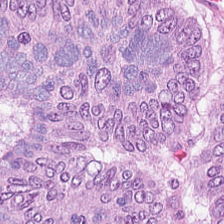Tissue class — malignant epithelium.
